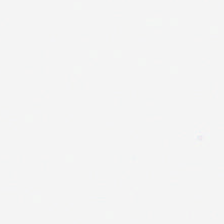H&E. 224×224 pixel tile. FFPE. Field content: no tissue.
